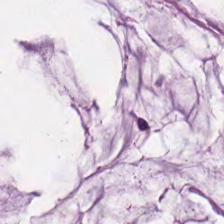FFPE tissue section. Hematoxylin and eosin. 224×224 px patch — Tissue type = mucus.
